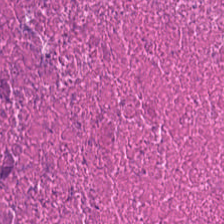0.5 µm/px · hematoxylin-and-eosin stained section — The predominant tissue is cellular debris.
